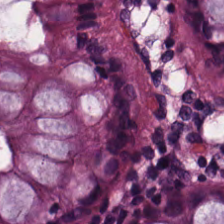Hematoxylin-and-eosin stained section — Histology — benign colonic mucosa.
